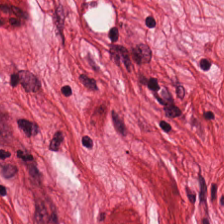H&E stain.
Q: What is the predominant tissue type?
A: Smooth muscle.
